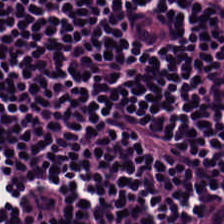Stain: hematoxylin and eosin.
Tissue class: lymphocytic infiltrate.
